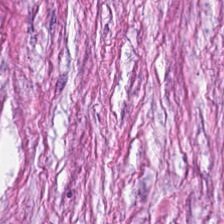224×224 px tile. H&E. FFPE. This patch shows desmoplastic stroma.
